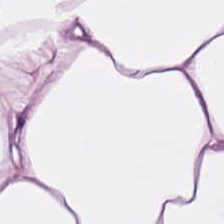Histology — adipose tissue.
